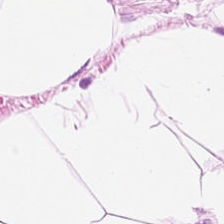H&E-stained tissue section. Whole-slide-image patch. {"tissue_type": "adipose tissue"}
